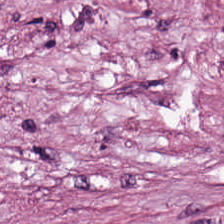Hematoxylin-and-eosin stained section — This field is desmoplastic stroma.
